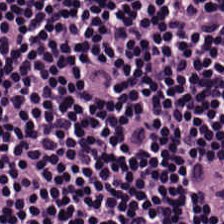H&E stain. This field is lymphoid infiltrate.
